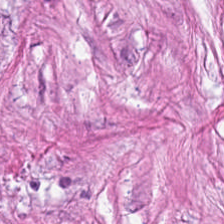H&E-stained tissue section showing tumor stroma.
